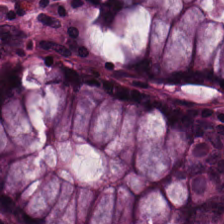Hematoxylin-and-eosin stained section.
Q: What does this patch show?
A: The field shows non-neoplastic colon mucosa.
